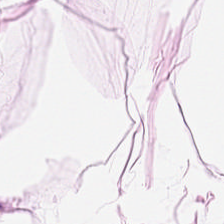{"tissue_type": "adipocytes"}
